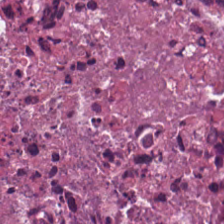Q: Classify this patch.
A: This is debris.
